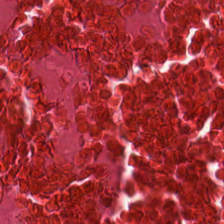Tissue class: necrotic debris.
